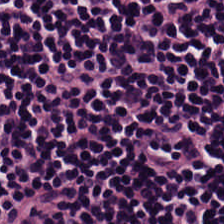FFPE. H&E. Q: What is shown here?
A: This is lymphocytes.
